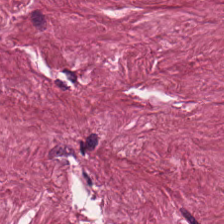Hematoxylin and eosin. The predominant tissue is tumor stroma.
